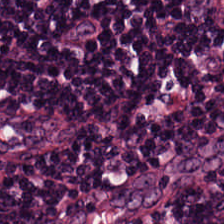H&E stain · brightfield microscopy · FFPE. Q: What does this patch show?
A: The field shows lymphocytic infiltrate.
